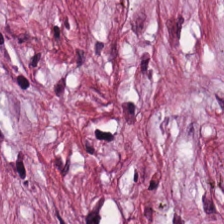H&E stain.
Finding → desmoplastic stroma.
